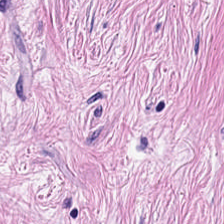Stain: hematoxylin and eosin.
Preparation: FFPE.
Acquisition: WSI patch.
Tissue class: cancer-associated stroma.
